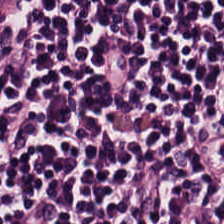H&E stain · 224×224 px patch — Q: What is shown here?
A: Lymphoid infiltrate.
